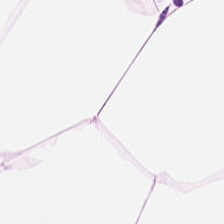Tissue = adipose tissue.
